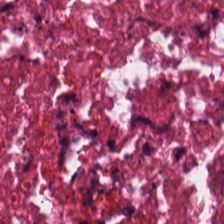Tissue type = necrotic debris.
